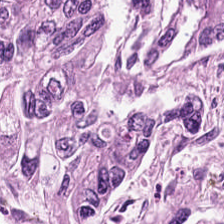Hematoxylin-and-eosin stained section; 0.5 microns per pixel — Colorectal adenocarcinoma epithelium.
